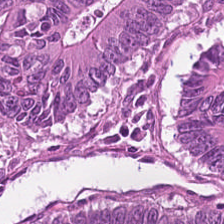224×224 px patch · H&E-stained tissue section. The tissue here is tumor epithelium.
